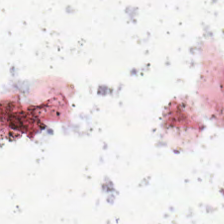H&E-stained tissue section.
Q: What is shown in this field?
A: This is background (no tissue).
